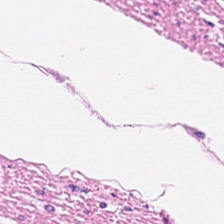H&E — Predominant tissue: smooth muscle.
